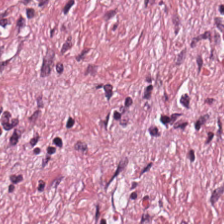Formalin-fixed paraffin-embedded section. Hematoxylin-and-eosin stained section. Brightfield. {"tissue_type": "tumor-associated stroma"}
